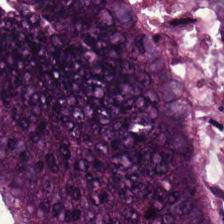Tissue type = adenocarcinoma.
